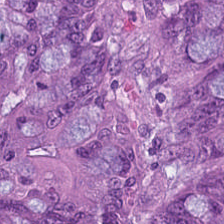H&E — colorectal adenocarcinoma epithelium.
